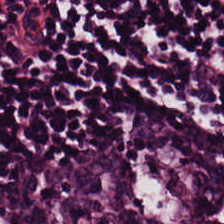Showing lymphocytes.
